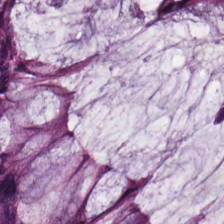FFPE. Hematoxylin-and-eosin stained section.
Finding — benign colonic mucosa.
